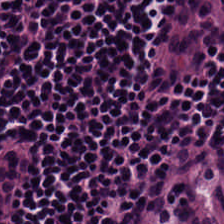Hematoxylin and eosin. 0.5 microns per pixel. FFPE tissue section.
Q: What is shown in this field?
A: It is lymphocyte aggregate.
